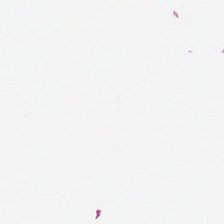{"content": "empty background"}
